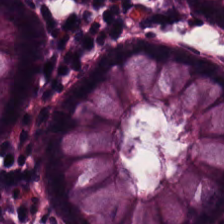0.5 µm per pixel; H&E-stained tissue section; formalin-fixed paraffin-embedded section. The predominant tissue is normal colon mucosa.
